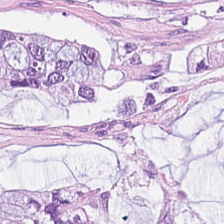224×224 px patch; hematoxylin-and-eosin stained section. Q: What is shown here?
A: The field shows mucus.
